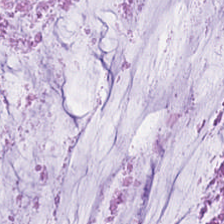Q: What tissue type is shown here?
A: The field shows mucin.
